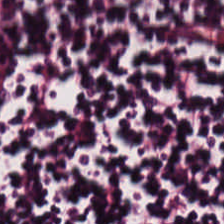H&E-stained tissue section. FFPE. 0.5 microns per pixel.
This field is lymphoid infiltrate.
